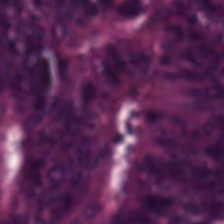Hematoxylin and eosin.
The predominant tissue is malignant epithelium.
